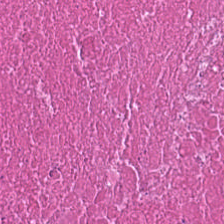Hematoxylin and eosin. Q: What type of tissue is this?
A: Necrotic debris.
